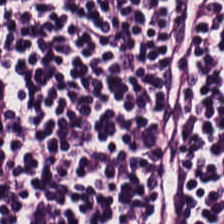H&E-stained tissue section.
This field is lymphoid infiltrate.
